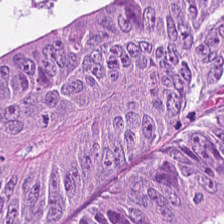{"tissue_type": "colorectal adenocarcinoma"}
